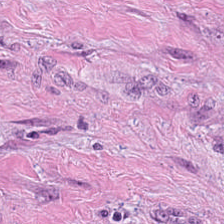H&E-stained tissue section; 224×224 px patch.
The tissue is desmoplastic stroma.
